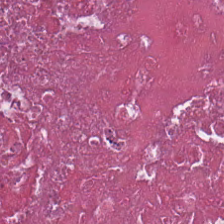Showing cellular debris.
